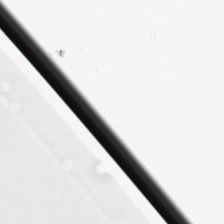Hematoxylin and eosin — The content is background.
